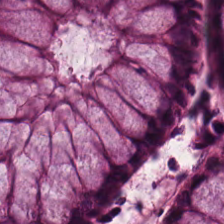Stain: hematoxylin and eosin.
Tissue class: non-neoplastic colon mucosa.
